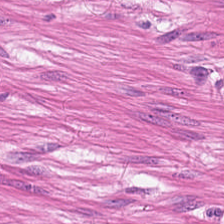Q: What is the predominant tissue type?
A: Smooth-muscle tissue.
